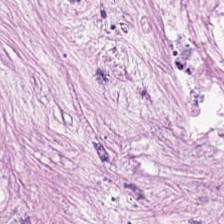H&E stain — Q: What is the predominant tissue type?
A: The field shows desmoplastic stroma.
